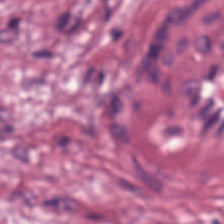Q: What is shown in this field?
A: Cancer-associated stroma.
